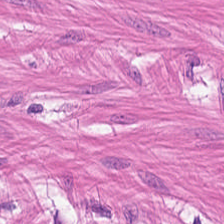FFPE; 20× equivalent magnification; H&E — Tissue class — smooth-muscle tissue.
